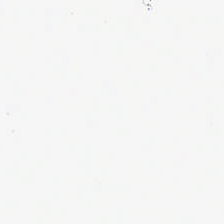Content: background (no tissue).
